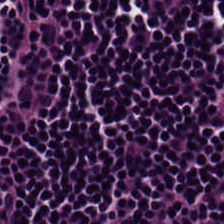Histology — lymphocytes.
